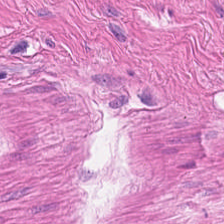H&E. Finding → smooth-muscle tissue.
